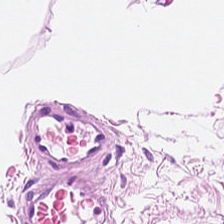H&E-stained tissue section — {"tissue_type": "fat tissue"}
